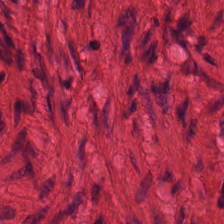Hematoxylin and eosin.
This field is smooth muscle.
